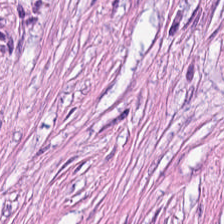This patch shows cancer-associated stroma.
